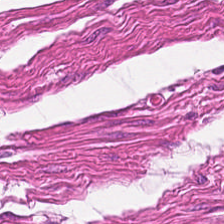Hematoxylin-and-eosin stained section. Formalin-fixed paraffin-embedded section. Brightfield microscopy. Finding → smooth-muscle tissue.
